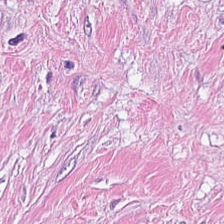Hematoxylin-and-eosin stained section. Brightfield. Formalin-fixed paraffin-embedded section.
Predominantly tumor-associated stroma.
